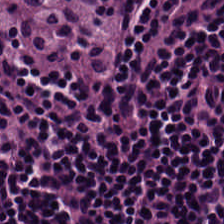H&E-stained tissue section. Showing lymphoid infiltrate.
